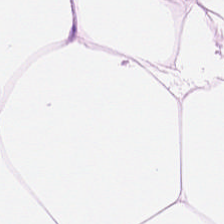H&E · 224×224 px tile · FFPE tissue section.
The predominant tissue is adipose.
